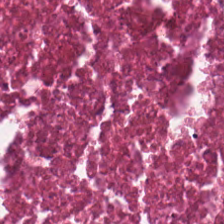H&E-stained tissue section.
Predominantly cellular debris.
